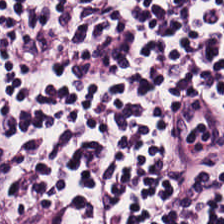H&E stain.
Tissue type — lymphoid infiltrate.
